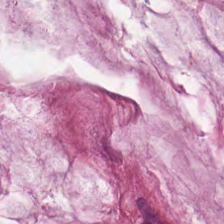Whole-slide-image patch. Formalin-fixed paraffin-embedded section. Hematoxylin and eosin.
This field is extracellular mucin.
